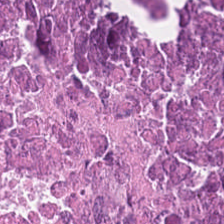Hematoxylin and eosin.
{"tissue_type": "necrotic debris"}
